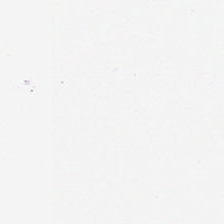Hematoxylin-and-eosin stained section — {"content": "no tissue"}
